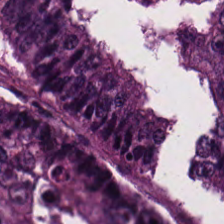20× equivalent magnification; brightfield; H&E.
Predominant tissue — colorectal adenocarcinoma epithelium.
